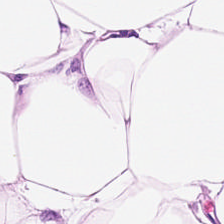This patch shows fat tissue.
